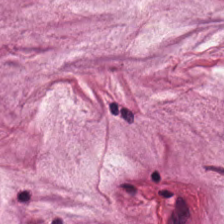H&E-stained tissue section.
{"tissue_type": "extracellular mucin"}
